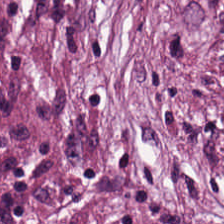H&E-stained tissue section.
This patch shows tumor-associated stroma.
